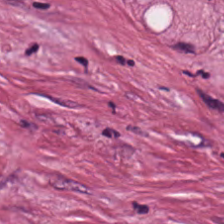H&E.
Tumor stroma.
